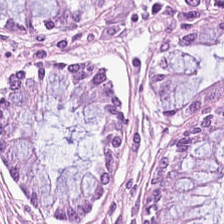Hematoxylin-and-eosin stained section. Tissue = non-neoplastic colon mucosa.
